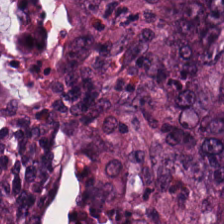Brightfield microscopy; H&E stain. Classification: colorectal adenocarcinoma.
